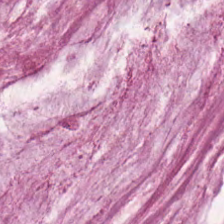Stain: hematoxylin and eosin.
Tile size: 224×224 pixel tile.
Acquisition: whole-slide-image patch.
Tissue type: extracellular mucin.
